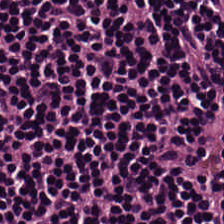H&E · 224×224 px patch · FFPE — Showing lymphocytes.
